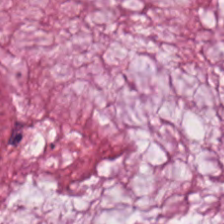224×224 pixel tile · H&E.
The tissue here is extracellular mucin.
